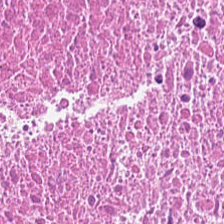H&E — debris.
